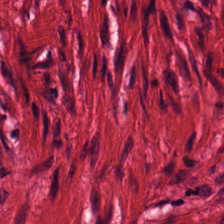H&E patch showing smooth-muscle tissue.
